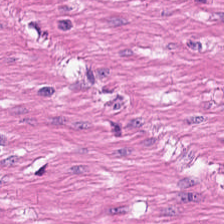Stain: hematoxylin and eosin.
Acquisition: whole-slide-image patch.
Predominant tissue: smooth muscle.
